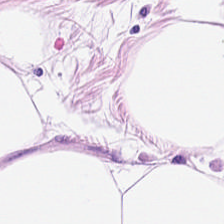Hematoxylin-and-eosin stained section.
This field is adipose.
